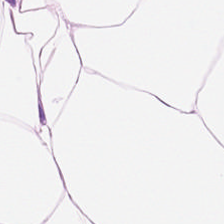H&E-stained tissue section. Q: What is shown here?
A: This is adipocytes.
